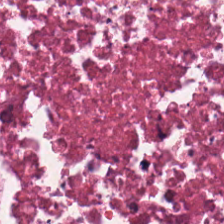Hematoxylin and eosin — Predominantly debris.
